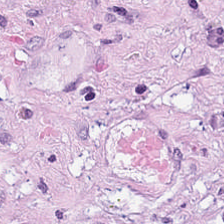Q: What is shown here?
A: This is cancer-associated stroma.
